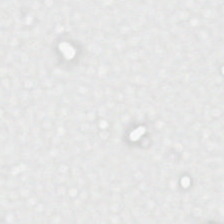Hematoxylin-and-eosin stained section. Q: What does this patch show?
A: This is empty background.
